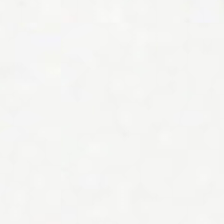H&E-stained tissue section.
No tissue present; background only.
